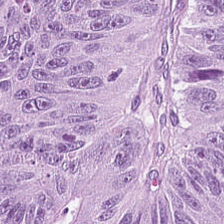H&E stain — Histology — colorectal adenocarcinoma epithelium.
